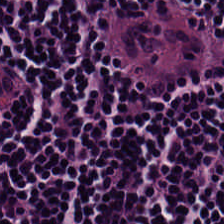Brightfield microscopy. H&E-stained tissue section. 224×224 px patch.
The tissue here is lymphocytic infiltrate.
